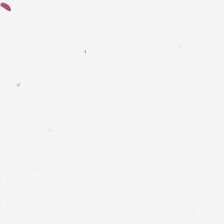Hematoxylin-and-eosin stained section · 224×224 px tile · 0.5 µm/px — Finding — background (no tissue).
